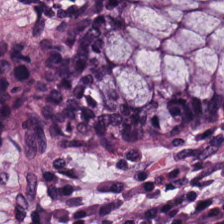Hematoxylin and eosin; FFPE.
This field is non-neoplastic colon mucosa.
